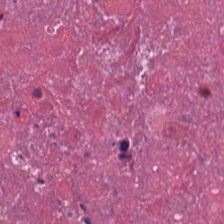H&E-stained tissue section showing necrotic debris.
